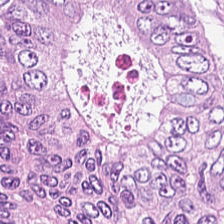FFPE; hematoxylin and eosin.
Q: What does this patch show?
A: The field shows tumor epithelium.
